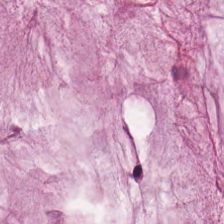WSI patch · H&E stain · 224×224 pixel tile. Tissue = extracellular mucin.
